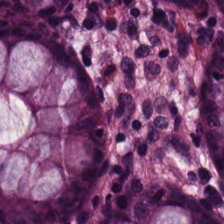H&E-stained tissue section — The predominant tissue is benign colonic mucosa.
